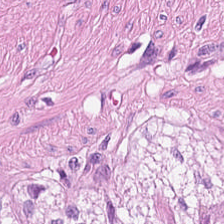H&E stain. Brightfield microscopy.
Showing smooth-muscle tissue.
